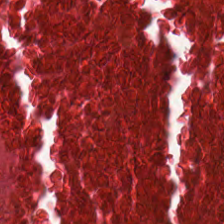Tissue — debris.
